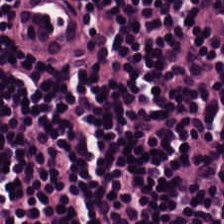Brightfield. H&E.
Lymphocyte aggregate.
